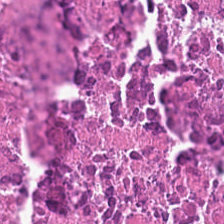H&E stain. Predominantly necrotic debris.
